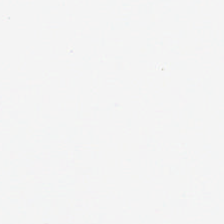H&E stain — This field is background (no tissue).
